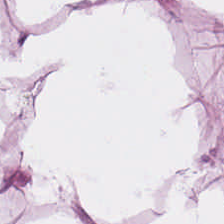224×224 pixel tile · H&E-stained tissue section. The tissue type is adipose tissue.
